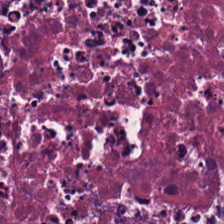0.5 µm/px · hematoxylin-and-eosin stained section · 224×224 px patch.
Predominant tissue — debris.
